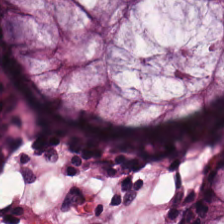Hematoxylin-and-eosin stained section. Brightfield microscopy.
{"tissue_type": "normal colonic mucosa"}
